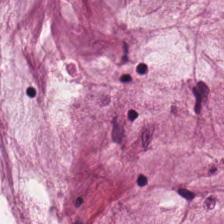Hematoxylin and eosin. Q: What is the predominant tissue type?
A: The field shows mucus.
